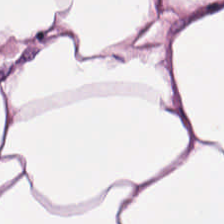Brightfield microscopy · H&E stain — Q: What type of tissue is this?
A: It is fat tissue.
